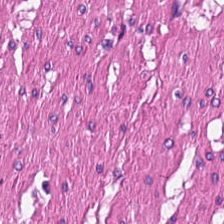224×224 pixel tile. Whole-slide-image patch. Hematoxylin-and-eosin stained section. Classification: smooth muscle.
